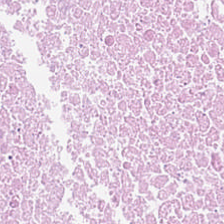Hematoxylin and eosin.
Histology → necrotic debris.
